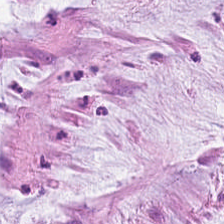224×224 px tile · H&E stain.
Q: Classify this patch.
A: This is mucus.
